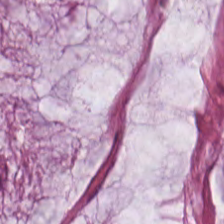Hematoxylin and eosin.
Q: What is the predominant tissue type?
A: The field shows mucin.
